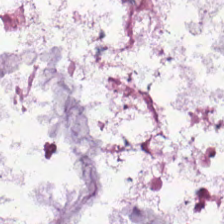FFPE. H&E stain. 0.5 µm per pixel.
Q: What is shown here?
A: The field shows extracellular mucin.
